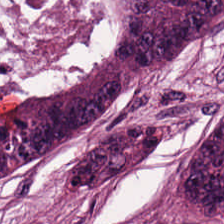Impression → adenocarcinoma.
